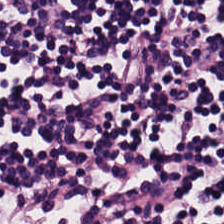H&E — lymphoid infiltrate.
